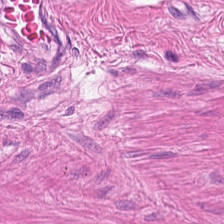H&E-stained tissue section; FFPE tissue section — The tissue here is smooth muscle.
